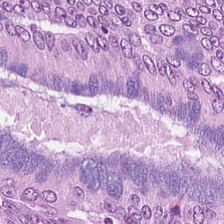0.5 µm/px. H&E-stained tissue section.
This patch shows malignant epithelium.
